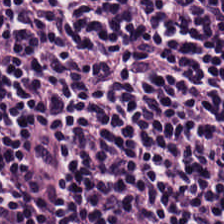Classification = lymphocyte aggregate.
